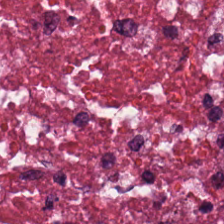H&E-stained tissue section.
Showing debris.
